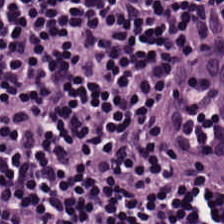Predominant tissue: lymphocyte aggregate.
